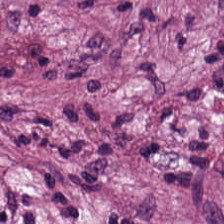H&E-stained tissue section — Q: What is shown here?
A: Tumor stroma.
